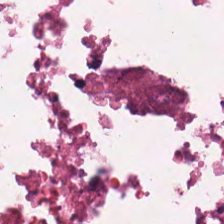Tissue = necrotic debris.
